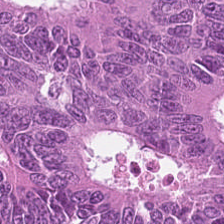Stain: H&E stain.
Classification: adenocarcinoma.
